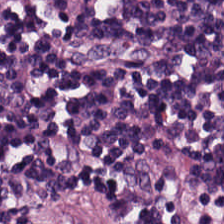Whole-slide-image patch · H&E stain. {"tissue_type": "lymphocytic infiltrate"}
